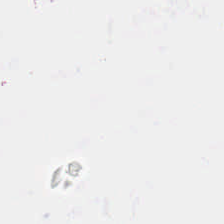Formalin-fixed paraffin-embedded section · 0.5 microns per pixel · hematoxylin-and-eosin stained section — No tissue present; background only.
